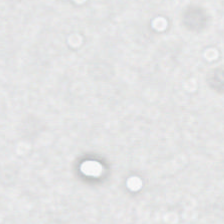Q: Classify this patch.
A: This is background.
